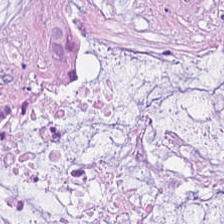H&E. Impression → extracellular mucin.
